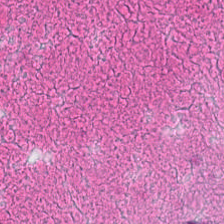Stain: hematoxylin-and-eosin stained section.
Resolution: 0.5 µm/px.
Tissue class: necrotic debris.
